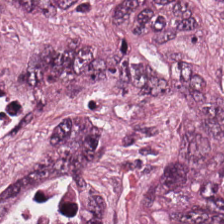Stain: H&E.
Tissue class: adenocarcinoma.
